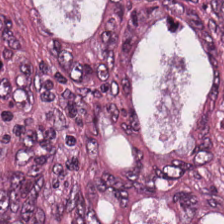WSI patch. H&E stain. 20× equivalent magnification.
Q: What does this patch show?
A: Adenocarcinoma.
